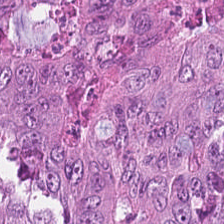Tissue: tumor epithelium.
